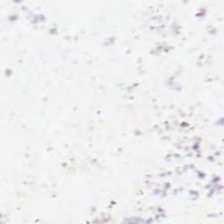Content: background (no tissue).
